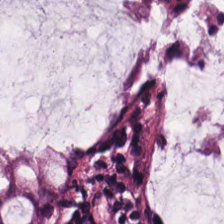Hematoxylin-and-eosin stained section. FFPE tissue section. Normal colon mucosa.
